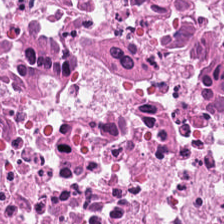H&E stain. Whole-slide-image patch. Q: What tissue is shown?
A: Necrotic debris.
